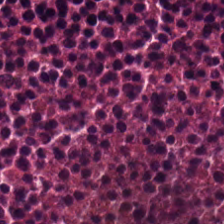Hematoxylin and eosin. Predominant tissue = cellular debris.
